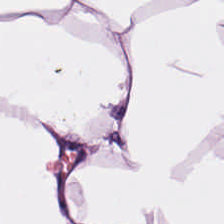Q: Classify this patch.
A: This is adipose tissue.
